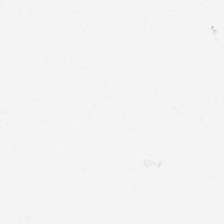H&E-stained tissue section — Content — no tissue.
